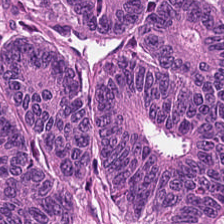Tissue class — adenocarcinoma.
